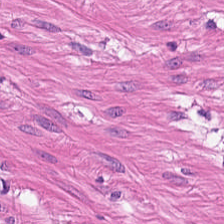Hematoxylin and eosin. FFPE. This field is smooth muscle.
